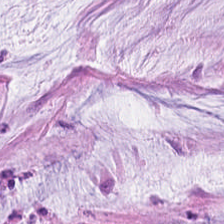Classification — mucin.
